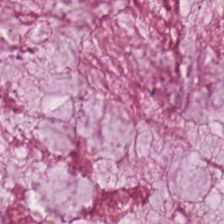0.5 microns per pixel; hematoxylin-and-eosin stained section.
This patch shows extracellular mucin.
